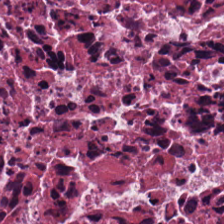Hematoxylin-and-eosin stained section — The predominant tissue is cellular debris.
